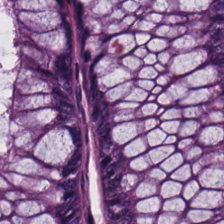H&E. The tissue here is benign colonic mucosa.
